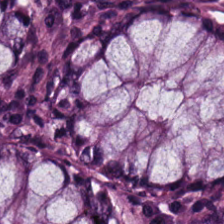H&E — Showing normal colon mucosa.
